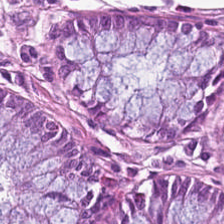Hematoxylin-and-eosin stained section · brightfield. The predominant tissue is normal colon mucosa.
